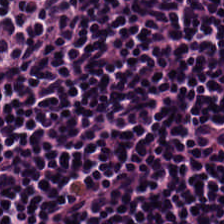H&E; 20× equivalent magnification; WSI patch. Predominant tissue: lymphoid infiltrate.
